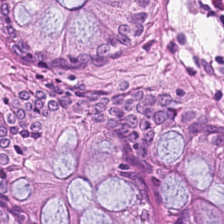Hematoxylin and eosin — This patch shows benign colonic mucosa.
